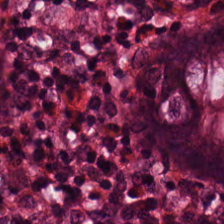Whole-slide-image patch. 20× equivalent magnification. Hematoxylin and eosin.
This patch shows benign colonic mucosa.
